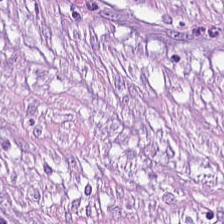H&E stain.
Tissue class: tumor stroma.
